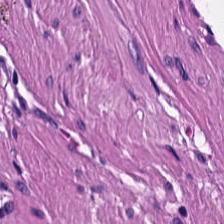H&E stain. Formalin-fixed paraffin-embedded section — Smooth muscle.
